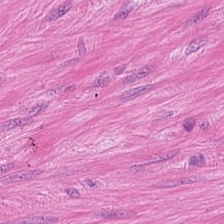Tissue: muscularis.
